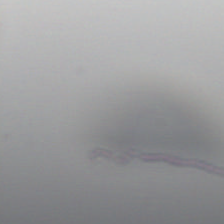Hematoxylin-and-eosin stained section; brightfield; formalin-fixed paraffin-embedded section. Field content: no tissue.
